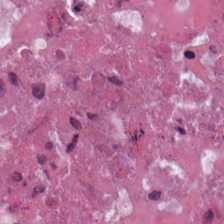FFPE · 224×224 px patch · H&E stain.
Impression — necrotic debris.
